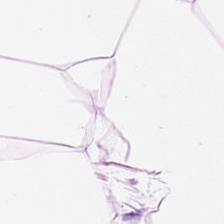Stain: hematoxylin and eosin.
Tissue class: adipocytes.
